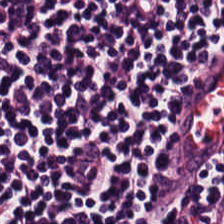H&E stain — Tissue class — lymphoid infiltrate.
